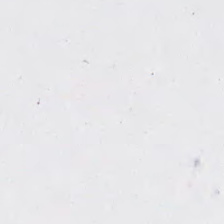Hematoxylin and eosin — Q: What does this patch show?
A: This is background (no tissue).
